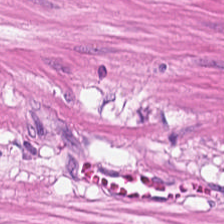Stain: H&E stain.
Tissue class: smooth-muscle tissue.
